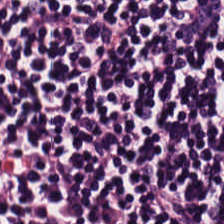Tissue type — lymphocytic infiltrate.
